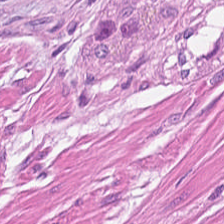H&E — smooth muscle.
